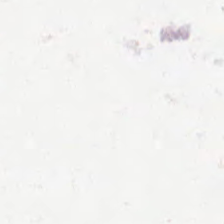No tissue.
